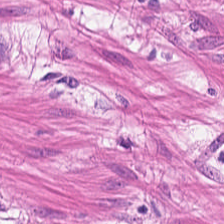Whole-slide-image patch. FFPE. H&E stain. Classification: smooth muscle.
